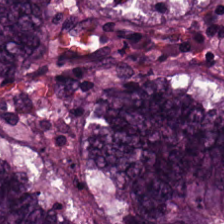H&E-stained tissue section.
Classification: tumor epithelium.
